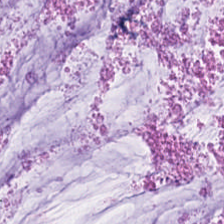H&E-stained tissue section.
{"tissue_type": "mucus"}
